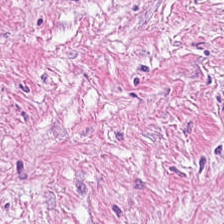H&E-stained tissue section. Predominantly cancer-associated stroma.
